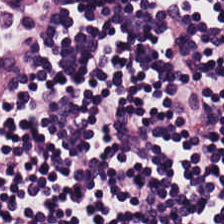Hematoxylin-and-eosin section: lymphoid infiltrate.
